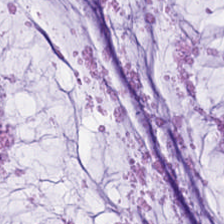Hematoxylin-and-eosin stained section. {"tissue_type": "extracellular mucin"}
